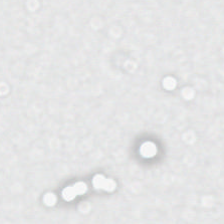Hematoxylin-and-eosin stained section — Histology → empty background.
